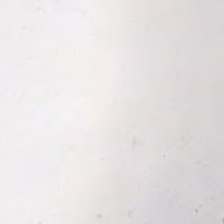224×224 pixel tile; H&E-stained tissue section. Q: Classify this patch.
A: Background (no tissue).
